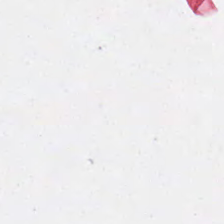Background — no tissue in this field.
